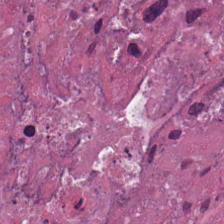Stain: H&E-stained tissue section.
Resolution: 0.5 µm/px.
Tissue class: cellular debris.
